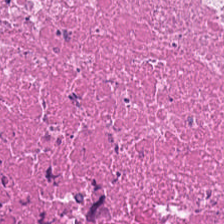H&E stain. Tissue type: debris.
